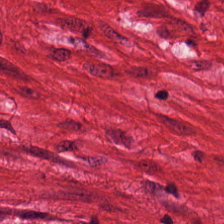20× equivalent magnification; hematoxylin and eosin. Smooth muscle.
